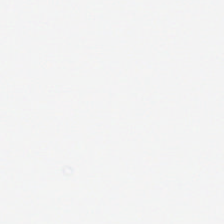H&E stain · 224×224 px tile · brightfield.
This patch shows empty background.
